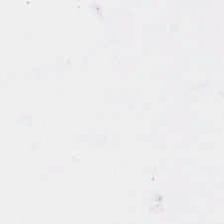224×224 px patch; hematoxylin-and-eosin stained section — Finding — background.
